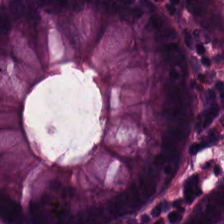Brightfield. H&E.
Q: What tissue is shown?
A: The field shows non-neoplastic colon mucosa.
